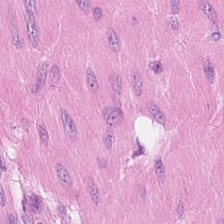224×224 px tile · hematoxylin-and-eosin stained section.
Impression — smooth-muscle tissue.
